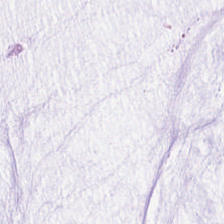Mucin.
